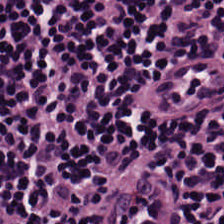H&E-stained tissue section — Q: What is shown here?
A: Lymphocytic infiltrate.
